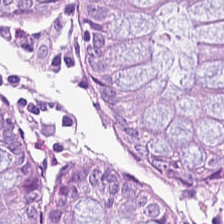H&E stain — Tissue type: non-neoplastic colon mucosa.
